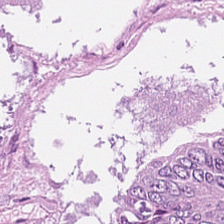Stain: hematoxylin-and-eosin stained section.
Predominant tissue: tumor epithelium.
